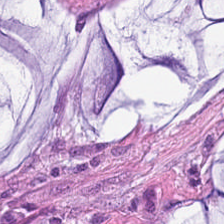224×224 pixel tile · H&E. Finding — mucus.
